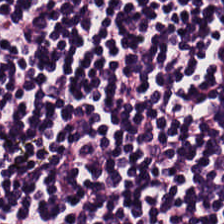0.5 microns per pixel · H&E stain · FFPE tissue section.
{"tissue_type": "lymphocytic infiltrate"}
